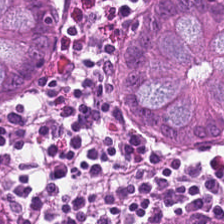FFPE · H&E stain.
Finding → normal colon mucosa.
